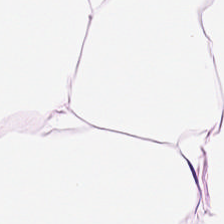H&E stain. This patch shows fat tissue.
